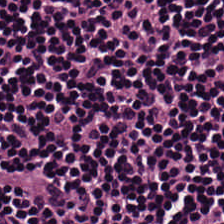Hematoxylin and eosin. 224×224 px tile — The tissue here is lymphoid infiltrate.
